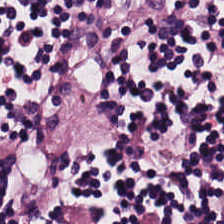H&E stain — This patch shows lymphoid infiltrate.
